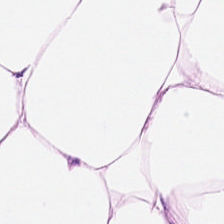Brightfield. Hematoxylin-and-eosin stained section. 20× equivalent magnification. Finding — adipose tissue.
